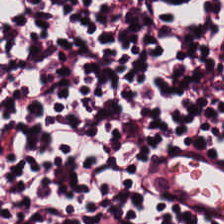0.5 microns per pixel; hematoxylin and eosin — Impression → lymphocytic infiltrate.
